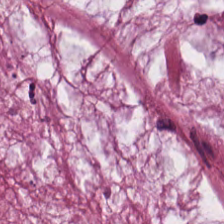Stain: hematoxylin and eosin.
Preparation: FFPE.
Tissue: mucus.
